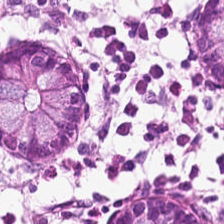The tissue class is non-neoplastic colon mucosa.
